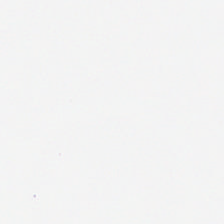Hematoxylin-and-eosin stained section. Q: What does this patch show?
A: Background.
